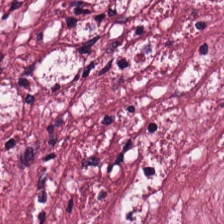This patch shows tumor-associated stroma.
